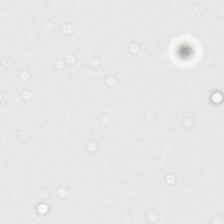H&E stain — The classification is empty background.
